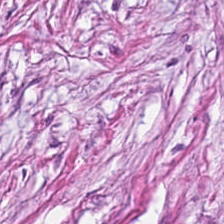H&E stain — Q: What type of tissue is this?
A: The field shows tumor-associated stroma.
